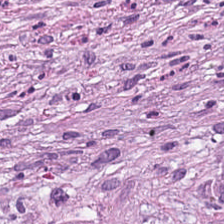H&E stain; 224×224 px tile; FFPE tissue section.
The tissue is tumor stroma.
